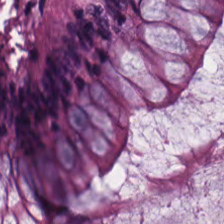Q: What type of tissue is this?
A: Normal colon mucosa.
